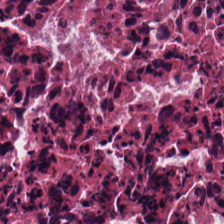Stain: hematoxylin and eosin.
Classification: necrotic debris.
